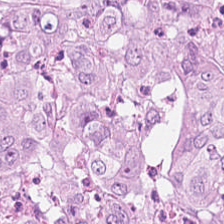H&E-stained tissue section.
Predominantly colorectal adenocarcinoma.
